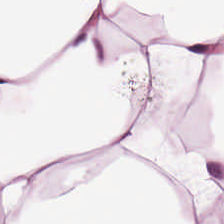Tissue = adipose.
